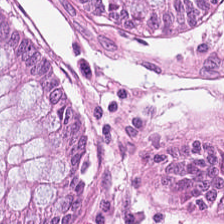Hematoxylin-and-eosin stained section. The predominant tissue is normal colonic mucosa.
